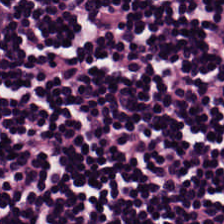H&E stain.
Histology → lymphocytes.
